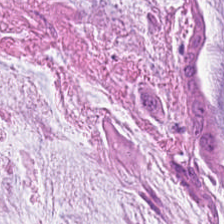Stain: H&E-stained tissue section.
Classification: extracellular mucin.
